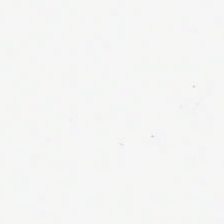Content = no tissue.
